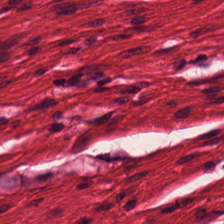Hematoxylin and eosin. Tissue class = muscularis.
